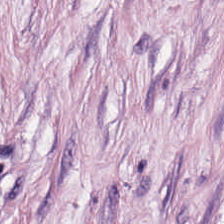H&E-stained tissue section — Classification — cancer-associated stroma.
